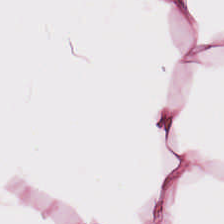Whole-slide-image patch; H&E stain. Q: What is shown here?
A: It is adipose tissue.
